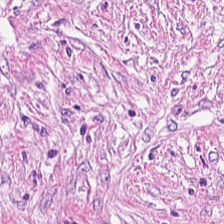Tissue class: tumor stroma.
